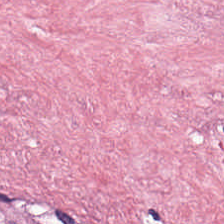224×224 px patch; H&E-stained tissue section. Tissue type — tumor stroma.
